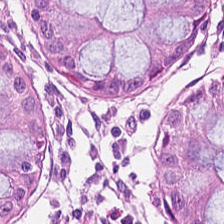H&E.
Tissue type — benign colonic mucosa.
